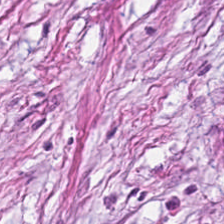Stain: H&E.
Tissue: desmoplastic stroma.
